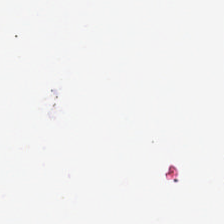FFPE; 0.5 microns per pixel; H&E-stained tissue section — No tissue.
